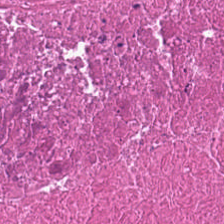Hematoxylin-and-eosin section: debris.
